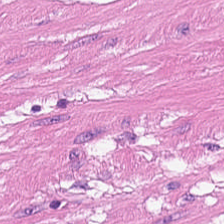0.5 microns per pixel · brightfield · H&E-stained tissue section.
Tissue = muscularis.
